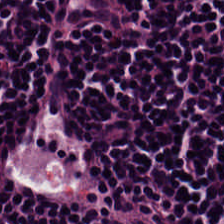FFPE tissue section · hematoxylin-and-eosin stained section — Predominantly lymphocytes.
